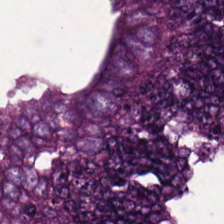H&E.
Tissue class = tumor epithelium.
